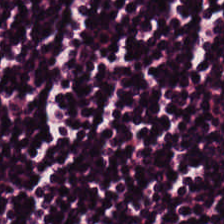Formalin-fixed paraffin-embedded section. H&E stain — Showing lymphoid infiltrate.
